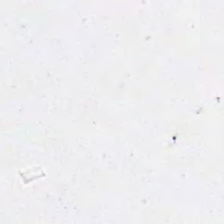H&E.
This field is background (no tissue).
